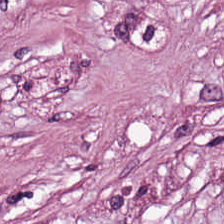FFPE tissue section; H&E-stained tissue section; 224×224 px tile — Predominant tissue: tumor stroma.
